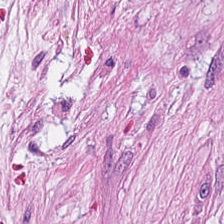H&E stain.
Desmoplastic stroma.
